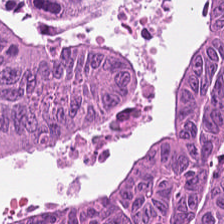{"tissue_type": "tumor epithelium"}
